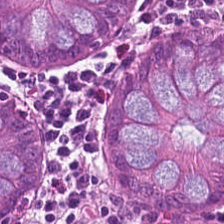Brightfield microscopy. 0.5 microns per pixel. Hematoxylin-and-eosin stained section.
Q: What tissue type is shown here?
A: This is benign colonic mucosa.
